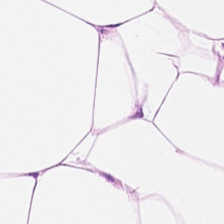H&E · brightfield microscopy · FFPE tissue section.
Predominant tissue — adipose tissue.
